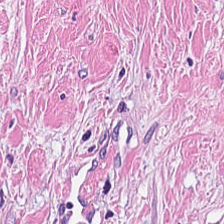Stain: H&E.
Tile size: 224×224 pixel tile.
Tissue type: tumor-associated stroma.
